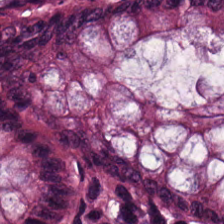Stain: H&E-stained tissue section.
Resolution: 20× equivalent magnification.
Tissue class: normal colonic mucosa.
